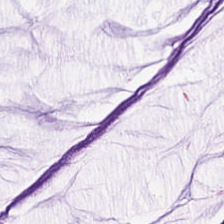H&E stain. Tissue = mucin.
